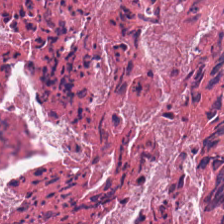Tissue: necrotic debris.
